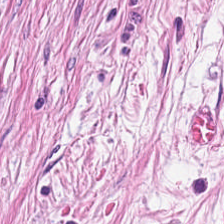Q: What is the predominant tissue type?
A: Cancer-associated stroma.
